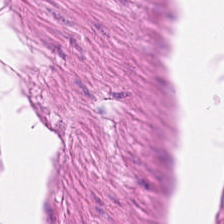Hematoxylin-and-eosin stained section — Finding — smooth-muscle tissue.
